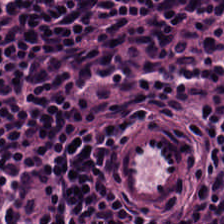H&E patch showing lymphocytic infiltrate.
